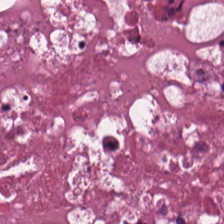Brightfield. Hematoxylin and eosin — Q: What does this patch show?
A: Cellular debris.
